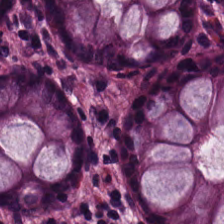WSI patch; hematoxylin-and-eosin stained section. {"tissue_type": "normal colon mucosa"}
